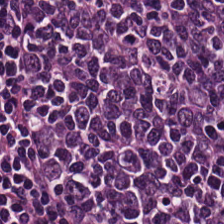H&E stain — Tissue — lymphoid infiltrate.
